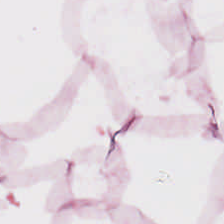Tissue — fat tissue.
